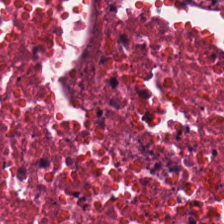Hematoxylin-and-eosin stained section. Q: What does this patch show?
A: Necrotic debris.
